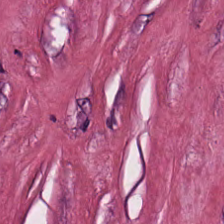0.5 µm per pixel. H&E. Brightfield. {"tissue_type": "cancer-associated stroma"}
